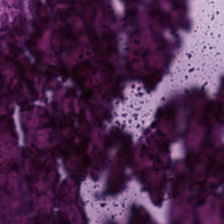Hematoxylin-and-eosin stained section; FFPE tissue section. Tissue class — cellular debris.
